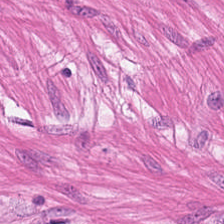Predominantly smooth muscle.
